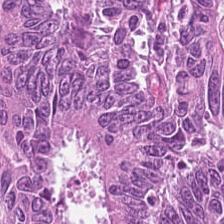Predominantly colorectal adenocarcinoma.
